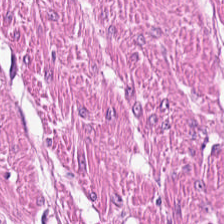Brightfield microscopy · hematoxylin-and-eosin stained section. Tissue class = smooth muscle.
